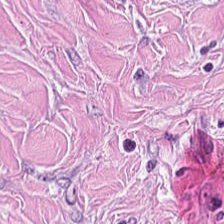H&E. Classification: tumor stroma.
